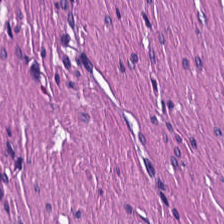Stain: hematoxylin-and-eosin stained section.
Acquisition: WSI patch.
Predominant tissue: muscularis.
